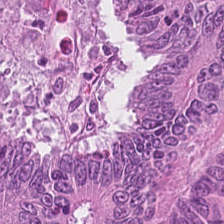Hematoxylin-and-eosin stained section · whole-slide-image patch. Predominant tissue — colorectal adenocarcinoma epithelium.
